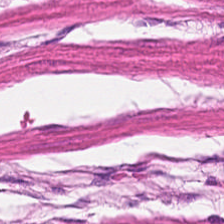H&E-stained tissue section; FFPE tissue section; WSI patch. Showing smooth-muscle tissue.
